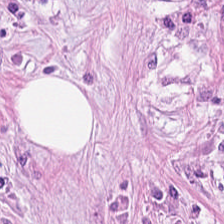Stain: H&E stain.
Resolution: 0.5 microns per pixel.
Tile size: 224×224 pixel tile.
Predominant tissue: tumor stroma.
